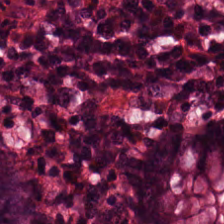H&E stain. Classification — normal colon mucosa.
